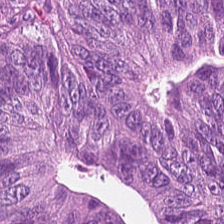H&E — Tissue type: colorectal adenocarcinoma epithelium.
